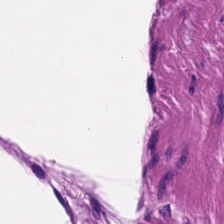Q: What tissue is shown?
A: This is smooth muscle.
